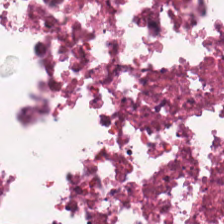Stain: H&E-stained tissue section.
Tissue: cellular debris.
